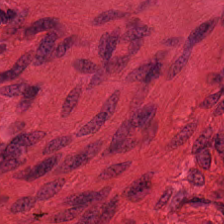H&E-stained tissue section; formalin-fixed paraffin-embedded section; 224×224 px patch. Classification = muscularis.
